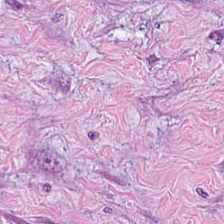Tissue — cancer-associated stroma.
